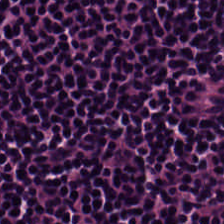Q: What tissue type is shown here?
A: This is lymphoid infiltrate.
